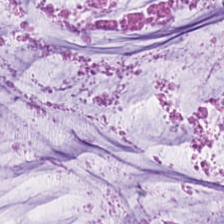H&E — Classification: mucin.
